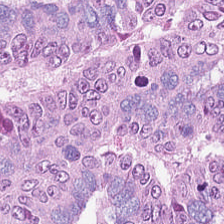Hematoxylin-and-eosin stained section. 224×224 pixel tile. Q: What is the predominant tissue type?
A: Adenocarcinoma.
